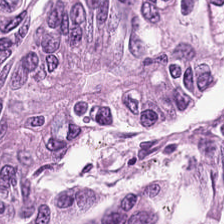H&E patch showing tumor epithelium.
